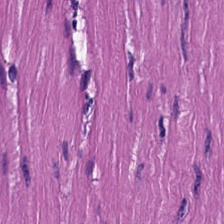224×224 pixel tile · H&E-stained tissue section — Q: Identify the tissue.
A: The field shows smooth-muscle tissue.
